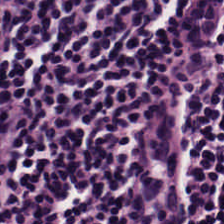The tissue here is lymphocytic infiltrate.
